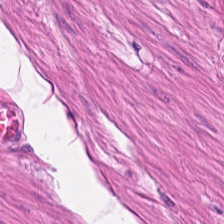0.5 µm/px; H&E.
Impression → smooth muscle.
